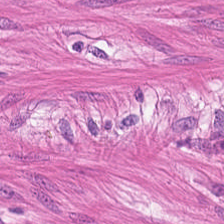Stain: H&E stain.
Tile size: 224×224 pixel tile.
Preparation: FFPE tissue section.
Classification: muscularis.
